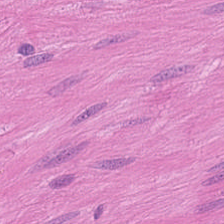Tissue: smooth-muscle tissue.
